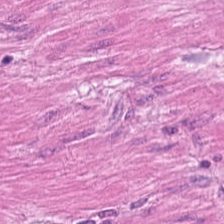Impression — smooth muscle.
